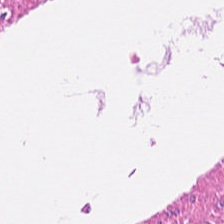Tissue = smooth muscle.
